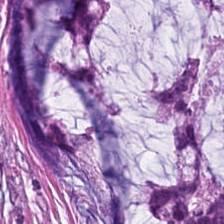Hematoxylin-and-eosin stained section; whole-slide-image patch.
Q: What tissue is shown?
A: It is extracellular mucin.
